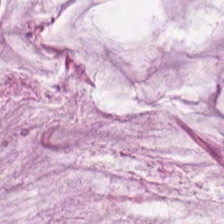The tissue is mucus.
